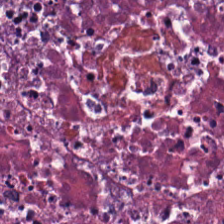Hematoxylin and eosin — Tissue class — cellular debris.
